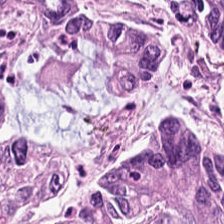Predominant tissue — colorectal adenocarcinoma.
